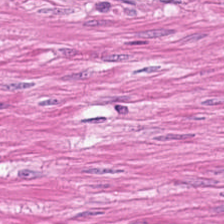Formalin-fixed paraffin-embedded section. H&E stain — Histology → muscularis.
